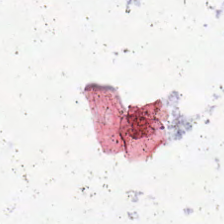FFPE. 0.5 µm/px. Hematoxylin and eosin. Finding — background (no tissue).
